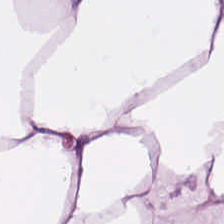Hematoxylin-and-eosin stained section — Predominantly adipose.
